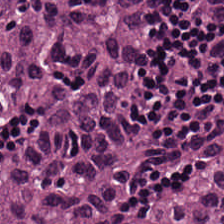Hematoxylin-and-eosin stained section; 224×224 pixel tile.
The tissue class is adenocarcinoma.
